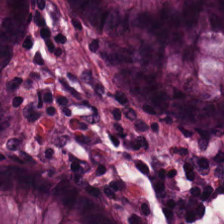Hematoxylin and eosin — This patch shows benign colonic mucosa.
